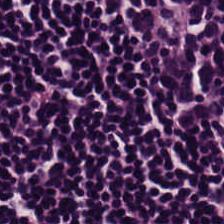Hematoxylin-and-eosin stained section.
Q: What is the predominant tissue type?
A: It is lymphocytes.
